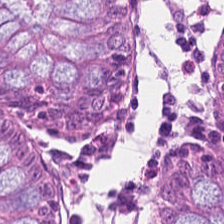This field is normal colonic mucosa.
